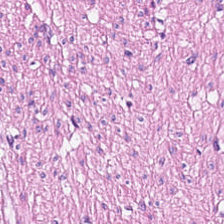The classification is muscularis.
